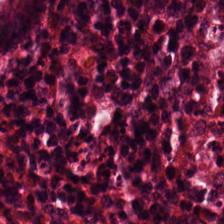Brightfield; hematoxylin and eosin. The tissue here is benign colonic mucosa.
